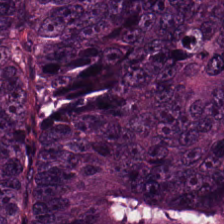Showing tumor epithelium.
